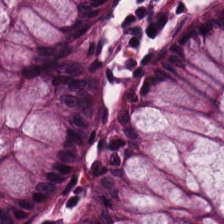WSI patch · 224×224 pixel tile · H&E stain — Predominantly non-neoplastic colon mucosa.
